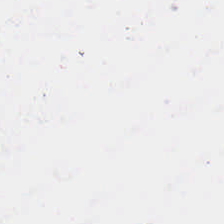0.5 µm per pixel; H&E stain. Histology → background.
